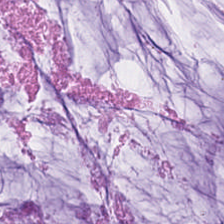Hematoxylin-and-eosin stained section — This field is extracellular mucin.
